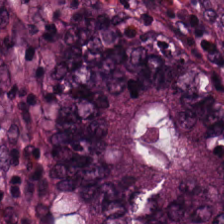Tumor epithelium.
